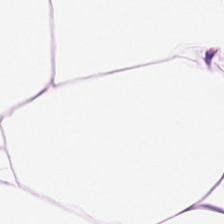Hematoxylin and eosin.
Tissue — adipose tissue.
